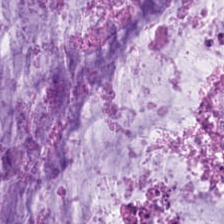H&E; FFPE — Mucin.
